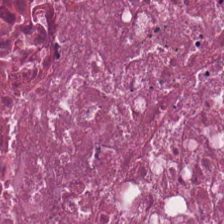H&E-stained tissue section. Q: What tissue type is shown here?
A: It is cellular debris.
